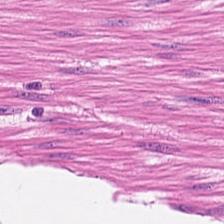Formalin-fixed paraffin-embedded section; 224×224 px patch; H&E. This patch shows smooth muscle.
